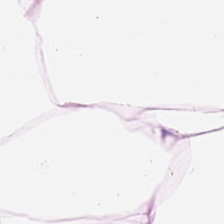Hematoxylin-and-eosin section: fat tissue.
